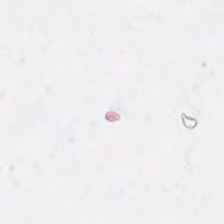Brightfield. H&E stain.
Content = background (no tissue).
